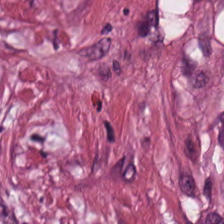Q: What is shown in this field?
A: This is tumor stroma.
